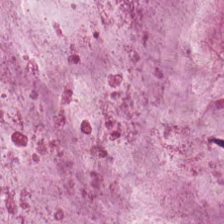Stain: H&E.
Preparation: formalin-fixed paraffin-embedded section.
Tissue class: mucin.
